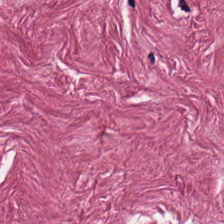H&E. Tissue — desmoplastic stroma.
